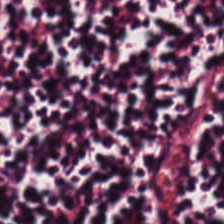Stain: H&E stain.
Predominant tissue: lymphocytic infiltrate.
